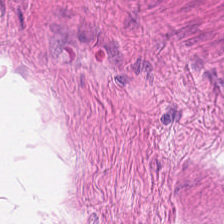H&E patch showing smooth-muscle tissue.
